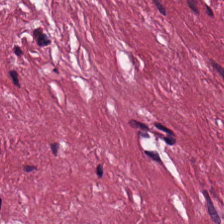224×224 px patch; H&E stain. Finding → desmoplastic stroma.
